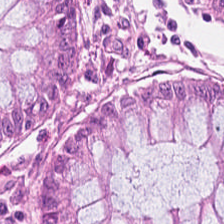Stain: hematoxylin and eosin.
Predominant tissue: non-neoplastic colon mucosa.
